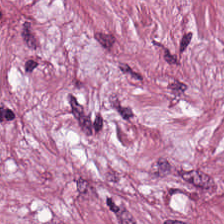Hematoxylin-and-eosin stained section. 0.5 µm per pixel. Brightfield microscopy — {"tissue_type": "cancer-associated stroma"}
